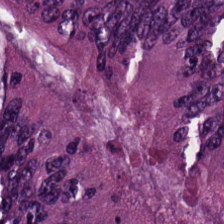Tissue class: tumor epithelium.
